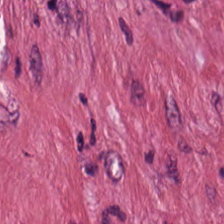Hematoxylin and eosin.
Showing tumor stroma.
